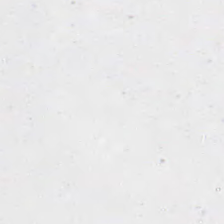H&E stain — Q: Classify this patch.
A: The field shows background (no tissue).
